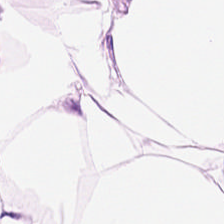H&E-stained tissue section.
Q: Identify the tissue.
A: This is adipocytes.
